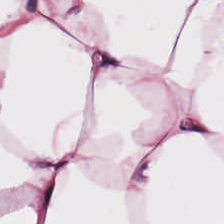0.5 microns per pixel. H&E-stained tissue section.
This patch shows adipose.
